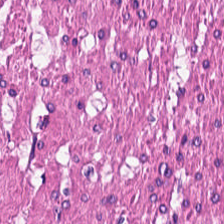Stain: H&E.
Tile size: 224×224 px tile.
Tissue: smooth-muscle tissue.
